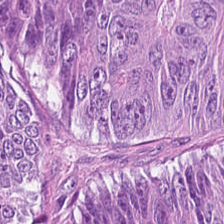H&E stain; 0.5 µm per pixel; brightfield microscopy. Impression — malignant epithelium.
